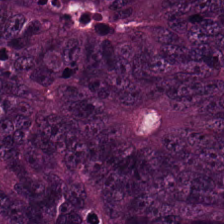224×224 px tile. Hematoxylin and eosin — The predominant tissue is adenocarcinoma.
